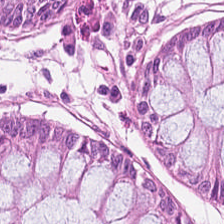H&E-stained tissue section · FFPE tissue section.
The tissue is normal colon mucosa.
